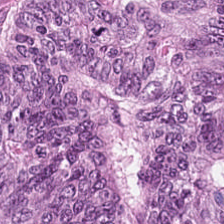Tissue class — colorectal adenocarcinoma.
